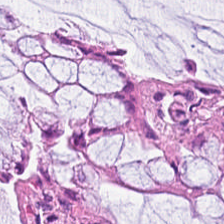Hematoxylin-and-eosin stained section — Tissue: normal colonic mucosa.
